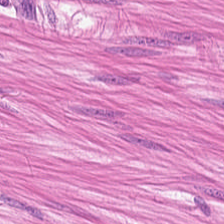224×224 pixel tile · H&E. Q: What is shown here?
A: The field shows muscularis.
